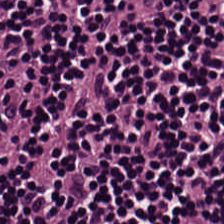{"tissue_type": "lymphocyte aggregate"}
